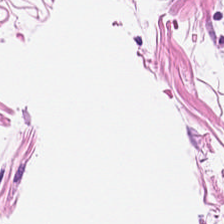Stain: H&E.
Tile size: 224×224 pixel tile.
Tissue: adipose.
